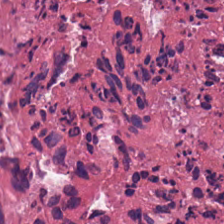H&E. 0.5 microns per pixel. FFPE.
The tissue here is debris.
